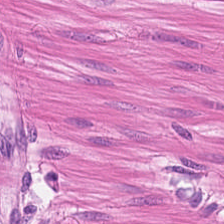The predominant tissue is muscularis.
